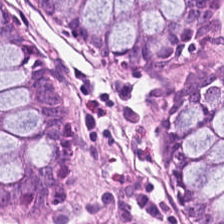224×224 px patch; 0.5 µm per pixel; hematoxylin-and-eosin stained section. Q: What tissue is shown?
A: Benign colonic mucosa.
